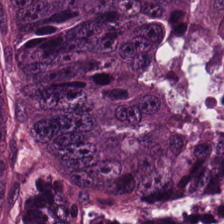Hematoxylin-and-eosin stained section.
Q: What tissue is shown?
A: Colorectal adenocarcinoma epithelium.
